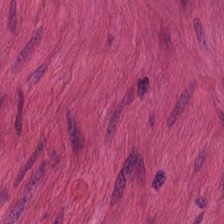FFPE · H&E-stained tissue section — This patch shows smooth muscle.
